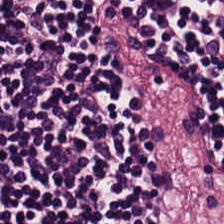224×224 pixel tile; 0.5 µm per pixel; H&E.
Showing lymphocytic infiltrate.
